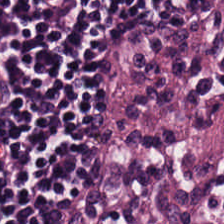Hematoxylin and eosin.
The classification is lymphocyte aggregate.
